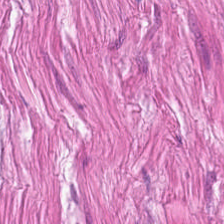H&E — Q: What tissue is shown?
A: The field shows smooth-muscle tissue.
